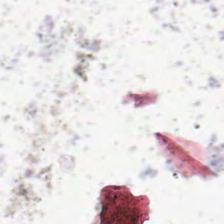Finding — background (no tissue).
